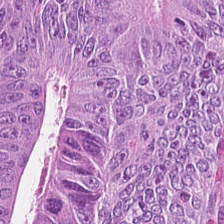H&E stain · 224×224 px patch · brightfield.
Colorectal adenocarcinoma epithelium.
